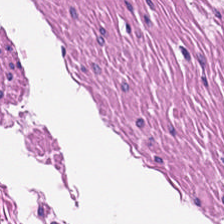H&E-stained tissue section.
Showing smooth-muscle tissue.
